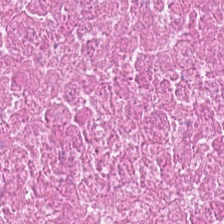H&E stain.
Tissue type = cellular debris.
